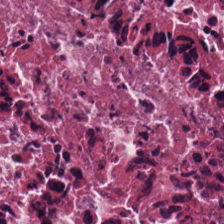Histology — cellular debris.
